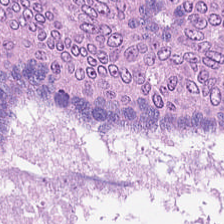Stain: hematoxylin-and-eosin stained section.
Classification: malignant epithelium.
